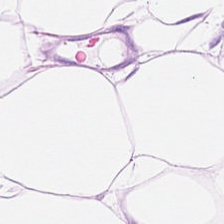Q: What tissue is shown?
A: Adipose.
